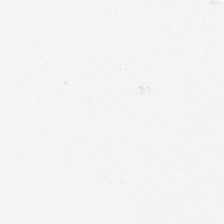Empty background.
